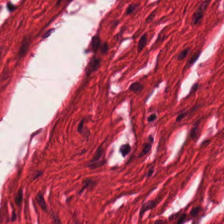Hematoxylin-and-eosin stained section — Showing smooth muscle.
